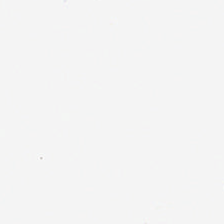H&E stain — Classification = no tissue.
